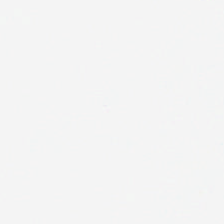H&E stain. 224×224 pixel tile. No tissue.
